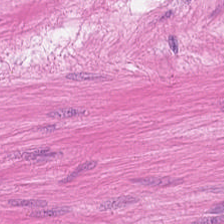H&E; brightfield. Q: What does this patch show?
A: This is muscularis.
